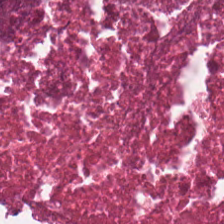224×224 px tile · H&E stain. The predominant tissue is debris.
